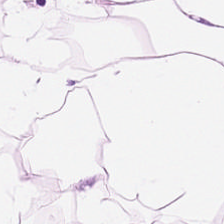H&E stain — Q: What is shown in this field?
A: The field shows adipose tissue.
